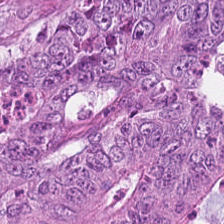224×224 px patch. FFPE tissue section. H&E. Impression — colorectal adenocarcinoma epithelium.
